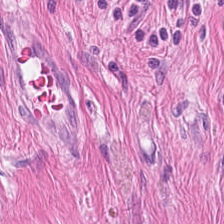WSI patch. H&E stain — Impression → smooth muscle.
